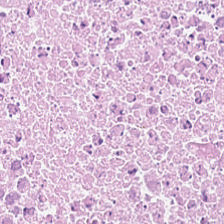H&E stain. This field is debris.
